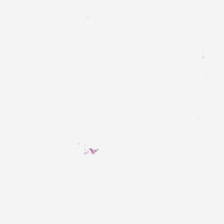Stain: hematoxylin and eosin.
Field content: background (no tissue).
